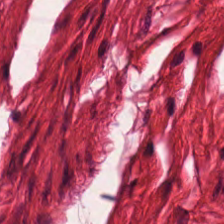{"tissue_type": "smooth muscle"}
